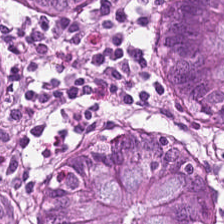Stain: H&E-stained tissue section.
Acquisition: brightfield.
Classification: normal colonic mucosa.
